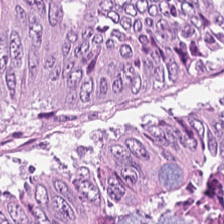H&E-stained tissue section.
The tissue type is malignant epithelium.
